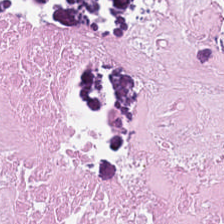Q: What tissue type is shown here?
A: This is necrotic debris.
